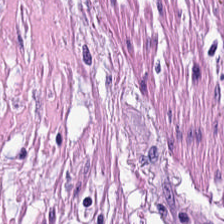Predominant tissue = smooth muscle.
